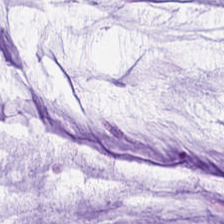Stain: hematoxylin and eosin.
Acquisition: WSI patch.
Preparation: FFPE tissue section.
Tissue class: mucin.
